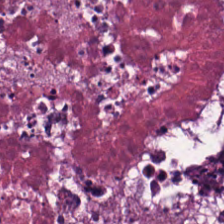224×224 px patch; hematoxylin and eosin; brightfield microscopy.
Predominant tissue = debris.
